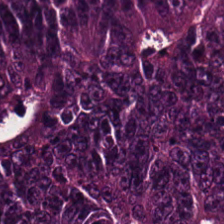H&E; whole-slide-image patch.
The predominant tissue is colorectal adenocarcinoma.
